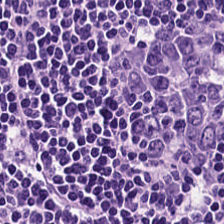Hematoxylin-and-eosin stained section — Lymphoid infiltrate.
